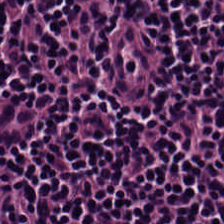The tissue type is lymphocytes.
